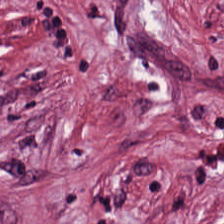Q: What is shown here?
A: It is desmoplastic stroma.
